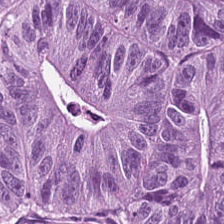FFPE. H&E-stained tissue section. 224×224 pixel tile. Q: What type of tissue is this?
A: The field shows tumor epithelium.
